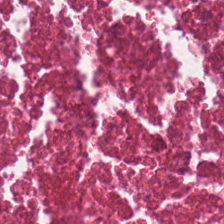The predominant tissue is debris.
